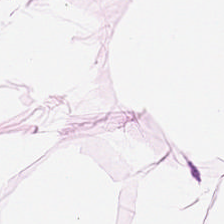H&E. Tissue type — fat tissue.
